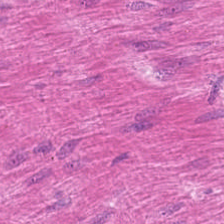Hematoxylin and eosin.
Predominantly smooth muscle.
